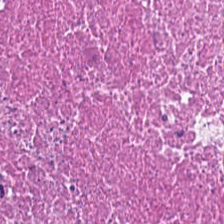H&E. Classification = cellular debris.
